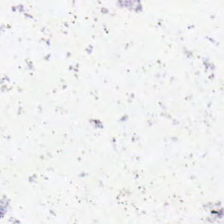FFPE. H&E-stained tissue section. No tissue present; background only.
